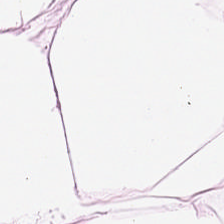H&E patch showing fat tissue.
